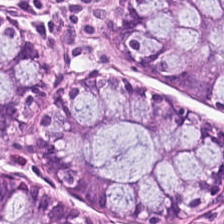The classification is normal colonic mucosa.
